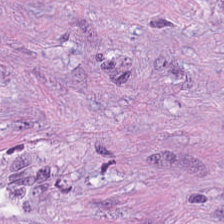Hematoxylin and eosin.
{"tissue_type": "tumor stroma"}
